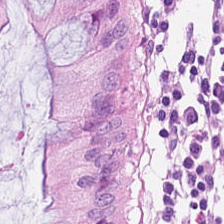Formalin-fixed paraffin-embedded section · 0.5 microns per pixel · hematoxylin-and-eosin stained section. Q: What tissue is shown?
A: It is benign colonic mucosa.
